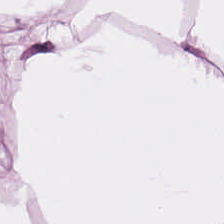224×224 px patch · H&E stain. Tissue type — fat tissue.
